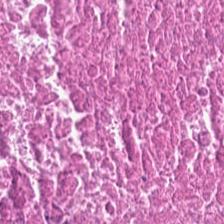H&E stain — Classification = cellular debris.
